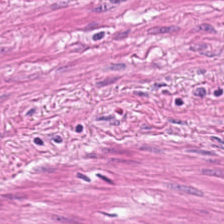224×224 pixel tile. H&E. FFPE. This field is smooth-muscle tissue.
